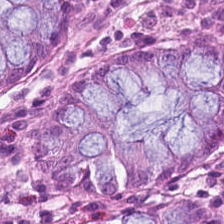H&E-stained tissue section. FFPE. 224×224 px tile.
Tissue type: non-neoplastic colon mucosa.
